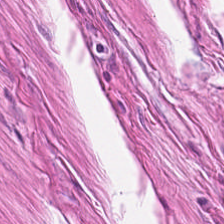Whole-slide-image patch; 20× equivalent magnification; H&E-stained tissue section.
Impression → muscularis.
